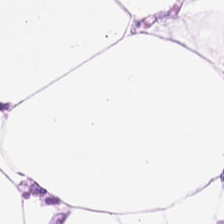H&E-stained section; the field shows fat tissue.
